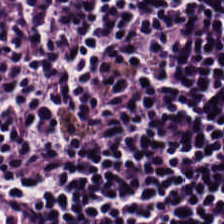Hematoxylin and eosin; 0.5 µm/px; brightfield microscopy.
Q: What is the predominant tissue type?
A: This is lymphoid infiltrate.
